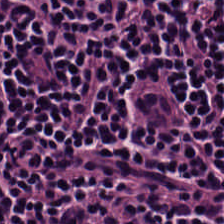H&E stain. Q: What tissue is shown?
A: Lymphocytes.
